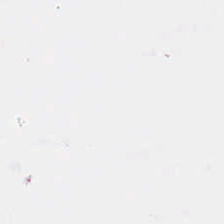Impression — background.
